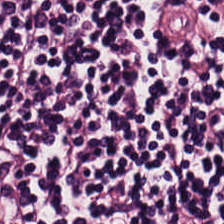H&E. FFPE. 0.5 microns per pixel.
The predominant tissue is lymphocytic infiltrate.
